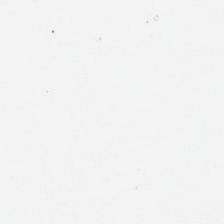Q: What does this patch show?
A: The field shows no tissue.
